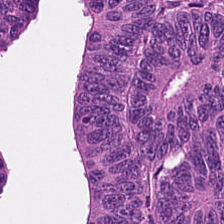H&E stain.
This field is adenocarcinoma.
